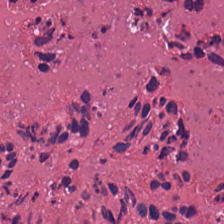224×224 px tile · hematoxylin and eosin · WSI patch — The tissue type is necrotic debris.
